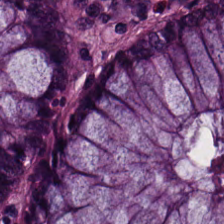Tissue = benign colonic mucosa.
